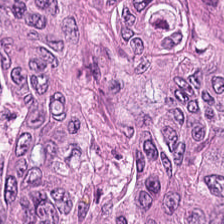Hematoxylin-and-eosin stained section. Whole-slide-image patch. Classification: tumor epithelium.
